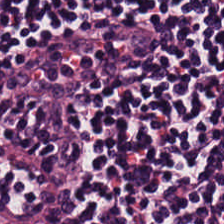H&E stain. The predominant tissue is lymphocytic infiltrate.
